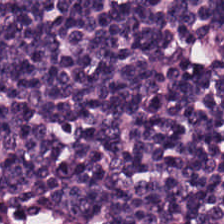H&E patch showing lymphocytes.
